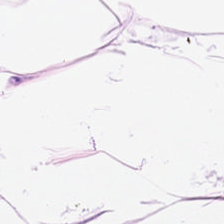Stain: H&E-stained tissue section.
Tissue type: adipocytes.
